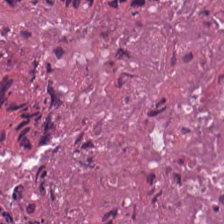Tissue class — necrotic debris.
